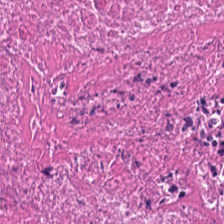H&E-stained tissue section. Q: What tissue is shown?
A: It is necrotic debris.
